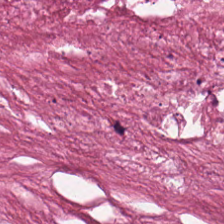The tissue here is debris.
